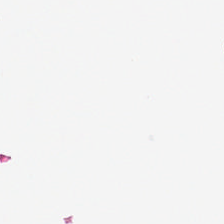Classification — empty background.
